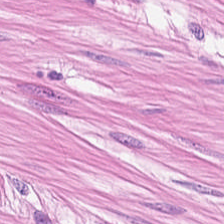Classification — smooth-muscle tissue.
